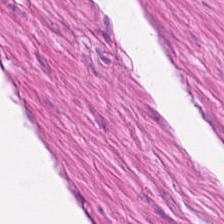Stain: H&E-stained tissue section.
Tissue: smooth-muscle tissue.
